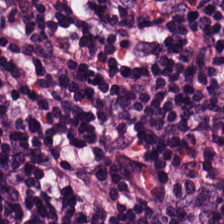0.5 microns per pixel · hematoxylin and eosin. Showing lymphocytic infiltrate.
